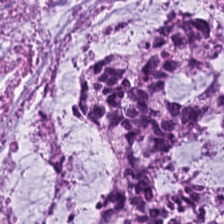Hematoxylin-and-eosin stained section. Predominant tissue = mucin.
